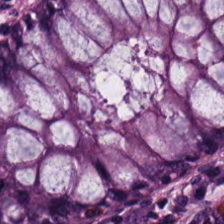H&E stain — The tissue class is normal colonic mucosa.
